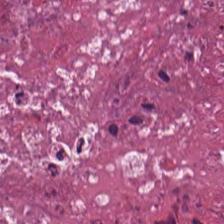H&E-stained tissue section; 224×224 px tile; 0.5 µm/px — Predominantly cellular debris.
